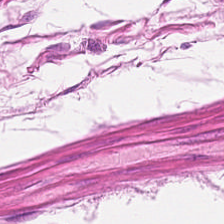H&E-stained section; the field shows smooth muscle.
